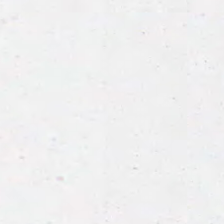H&E stain — Empty field — background.
